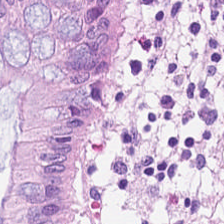This field is normal colon mucosa.
